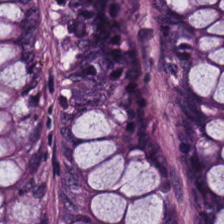Hematoxylin-and-eosin section: normal colonic mucosa.
